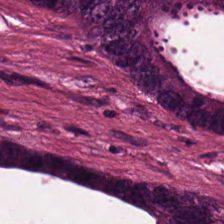FFPE; H&E-stained tissue section. Finding — colorectal adenocarcinoma epithelium.
